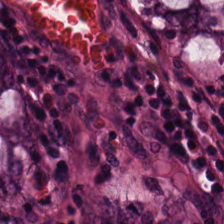H&E-stained tissue section. Whole-slide-image patch. FFPE tissue section — Tissue type: normal colonic mucosa.
